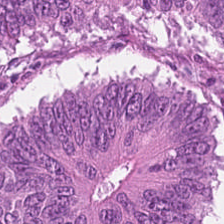H&E — Tumor epithelium.
